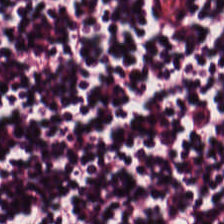Hematoxylin and eosin. 224×224 px patch. Showing lymphocytic infiltrate.
